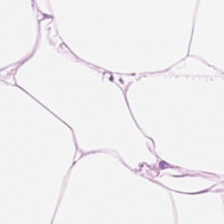Stain: H&E-stained tissue section.
Tissue: adipose.
